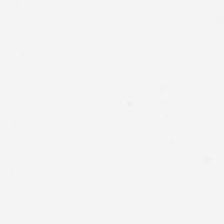H&E-stained tissue section.
This patch shows empty background.
